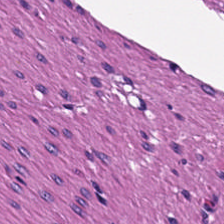Hematoxylin and eosin — This patch shows muscularis.
